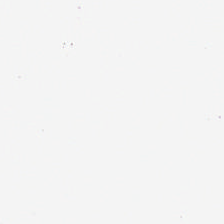Q: Classify this patch.
A: Background (no tissue).
